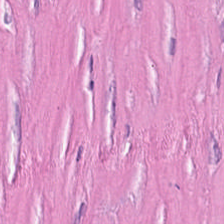Hematoxylin and eosin. 0.5 µm/px. FFPE — Predominant tissue = desmoplastic stroma.
